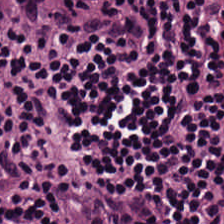Hematoxylin and eosin; 224×224 pixel tile; FFPE tissue section — This patch shows lymphocyte aggregate.
